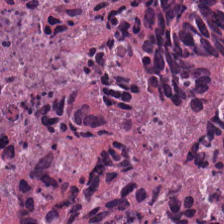0.5 microns per pixel · H&E-stained tissue section — Q: What type of tissue is this?
A: Debris.
